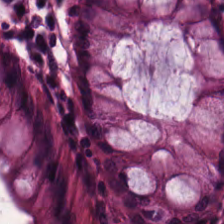Normal colonic mucosa.
